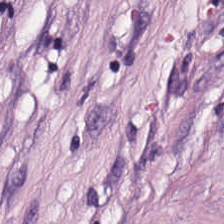Hematoxylin-and-eosin stained section; FFPE tissue section; 0.5 µm per pixel — Tissue type — cancer-associated stroma.
